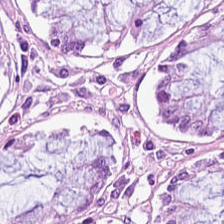Q: What type of tissue is this?
A: This is benign colonic mucosa.
